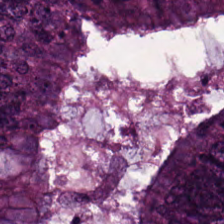Tissue class = colorectal adenocarcinoma.
